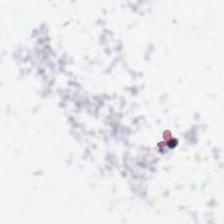No tissue present; background only.
